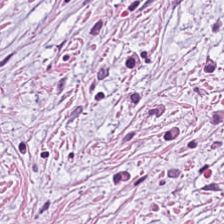0.5 µm/px; H&E stain — The predominant tissue is desmoplastic stroma.
